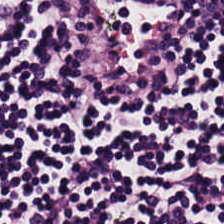H&E. The predominant tissue is lymphoid infiltrate.
